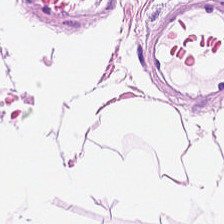FFPE tissue section · H&E stain — This patch shows adipose tissue.
